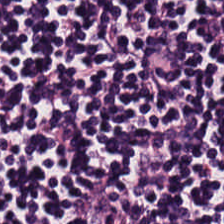Stain: H&E-stained tissue section.
Tissue class: lymphocytic infiltrate.
